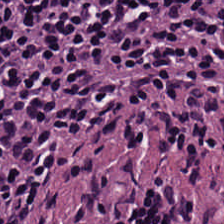Stain: hematoxylin and eosin.
Tile size: 224×224 px patch.
Predominant tissue: lymphoid infiltrate.
